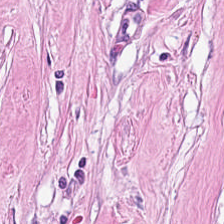H&E stain. Tissue type — desmoplastic stroma.
